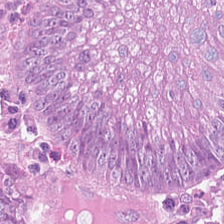Stain: H&E.
Predominant tissue: adenocarcinoma.
